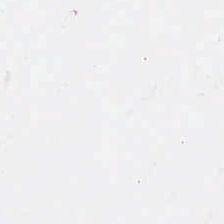Stain: hematoxylin-and-eosin stained section.
Field content: background (no tissue).
